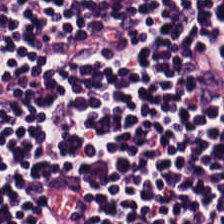FFPE. Hematoxylin and eosin. This field is lymphocytic infiltrate.
